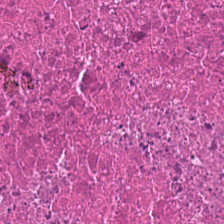Hematoxylin-and-eosin stained section.
The tissue here is cellular debris.
